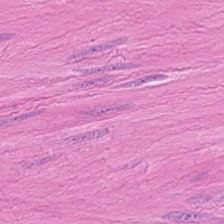0.5 microns per pixel · H&E · 224×224 pixel tile — Impression → muscularis.
